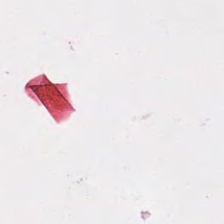Content — empty background.
